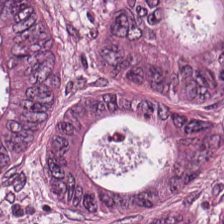Stain: H&E stain.
Tile size: 224×224 pixel tile.
Acquisition: brightfield microscopy.
Tissue: adenocarcinoma.
